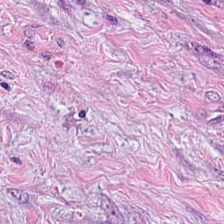H&E-stained tissue section. Q: What does this patch show?
A: The field shows tumor stroma.
